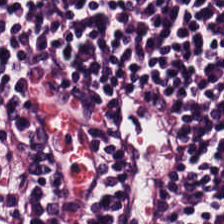H&E-stained tissue section. Predominant tissue: lymphoid infiltrate.
